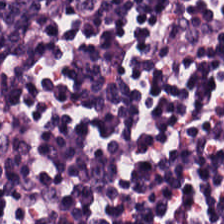Formalin-fixed paraffin-embedded section; H&E-stained tissue section — Predominant tissue — lymphocytic infiltrate.
